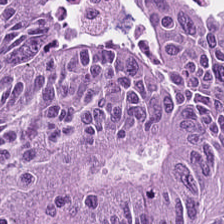Stain: hematoxylin and eosin.
Classification: malignant epithelium.
